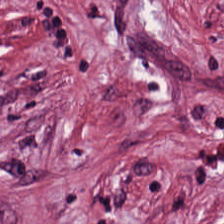H&E — Predominantly desmoplastic stroma.
